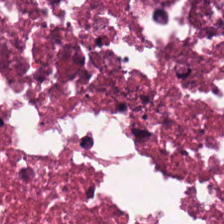H&E stain; FFPE tissue section; 224×224 px tile. Predominantly cellular debris.
